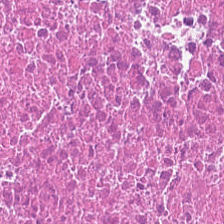H&E stain.
Debris.
